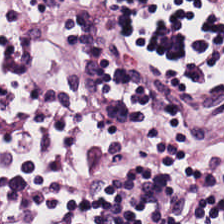H&E-stained tissue section.
Predominant tissue: lymphocytes.
